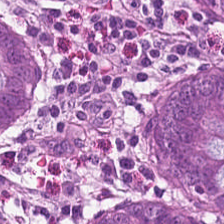Q: Identify the tissue.
A: Benign colonic mucosa.
